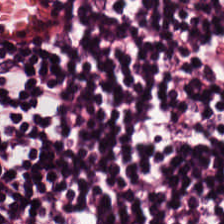H&E; 224×224 pixel tile; 0.5 µm per pixel.
{"tissue_type": "lymphocytes"}
